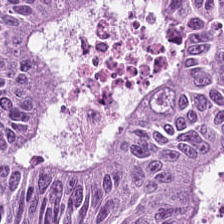224×224 px tile · hematoxylin-and-eosin stained section — Q: What tissue type is shown here?
A: It is colorectal adenocarcinoma.
